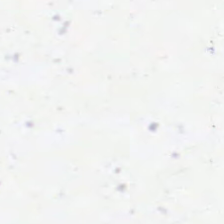Brightfield; hematoxylin and eosin.
The field content is background (no tissue).
